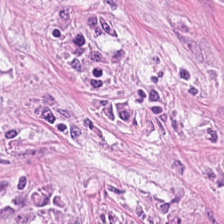Classification — desmoplastic stroma.
